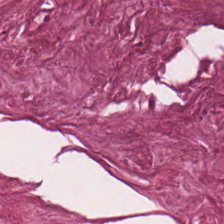224×224 px patch; H&E-stained tissue section; WSI patch. Classification — cancer-associated stroma.
